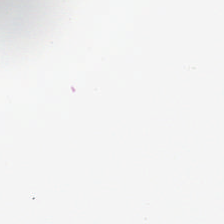Hematoxylin-and-eosin stained section — Q: What does this patch show?
A: The field shows background.
